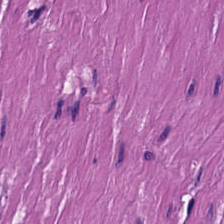H&E stain.
Tissue — smooth-muscle tissue.
